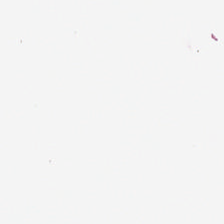224×224 pixel tile · hematoxylin-and-eosin stained section · whole-slide-image patch — The content is background (no tissue).
